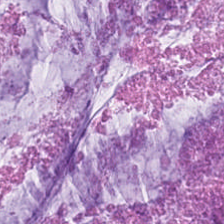Q: What tissue is shown?
A: The field shows extracellular mucin.
